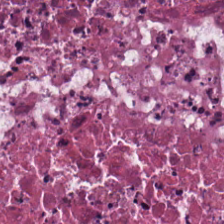H&E.
Q: Classify this patch.
A: The field shows necrotic debris.
